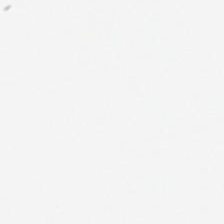Histology → background (no tissue).
